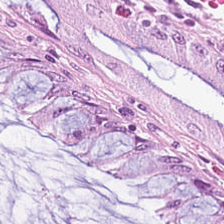FFPE tissue section; hematoxylin and eosin; WSI patch.
The predominant tissue is normal colonic mucosa.
